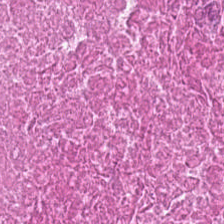Histology — debris.
